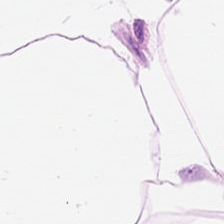Predominant tissue: adipose.
